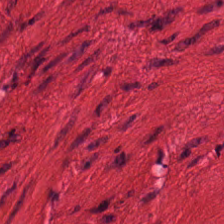Hematoxylin-and-eosin stained section. Q: What tissue is shown?
A: Muscularis.
